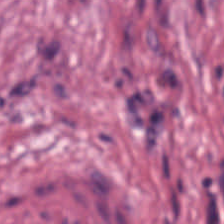H&E stain — Q: What type of tissue is this?
A: This is tumor-associated stroma.
